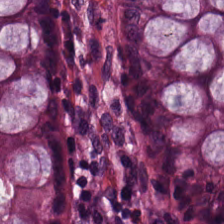Showing non-neoplastic colon mucosa.
